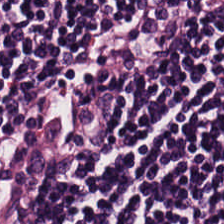224×224 px patch; brightfield; hematoxylin-and-eosin stained section.
Tissue class = lymphocytic infiltrate.
